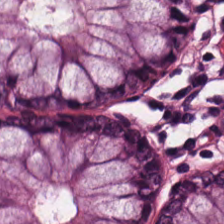H&E stain.
The tissue here is benign colonic mucosa.
